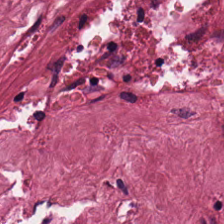224×224 pixel tile · hematoxylin and eosin. This patch shows cancer-associated stroma.
